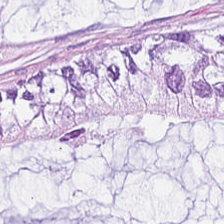H&E-stained tissue section. The tissue type is extracellular mucin.
